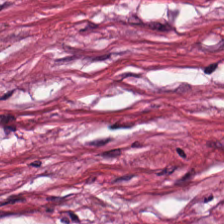Predominantly tumor-associated stroma.
